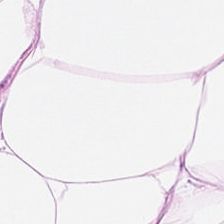Stain: H&E.
Acquisition: WSI patch.
Tissue: adipose tissue.
